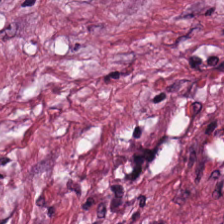224×224 px patch · H&E. Finding → tumor-associated stroma.
